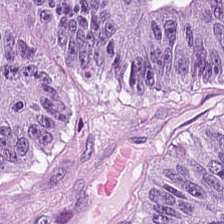Hematoxylin-and-eosin stained section; WSI patch. Tissue type = colorectal adenocarcinoma.
